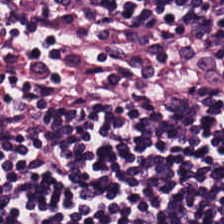Hematoxylin and eosin; 20× equivalent magnification — Predominantly lymphoid infiltrate.
